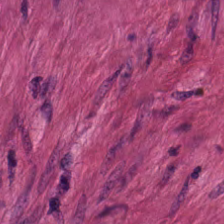Hematoxylin-and-eosin stained section.
Predominantly smooth muscle.
